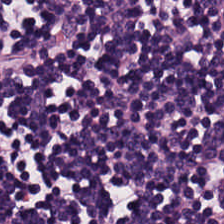H&E-stained tissue section.
Q: What type of tissue is this?
A: Lymphocytes.
